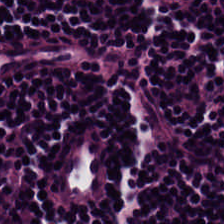Tissue class: lymphocyte aggregate.
